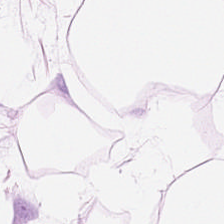Tissue: fat tissue.
